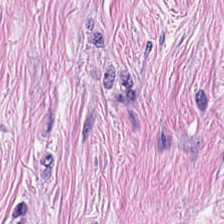H&E stain; brightfield — Showing desmoplastic stroma.
